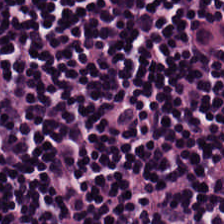Hematoxylin-and-eosin stained section — Showing lymphocytes.
